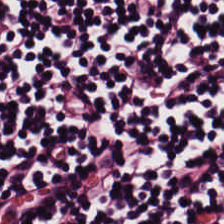Hematoxylin-and-eosin stained section.
The predominant tissue is lymphocytes.
